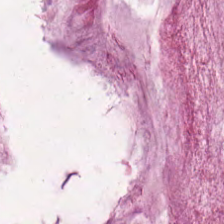H&E. WSI patch. 0.5 microns per pixel — The tissue here is mucin.
